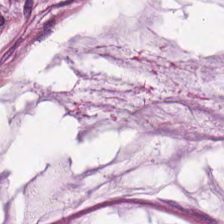H&E; brightfield microscopy; FFPE. Tissue type = mucus.
